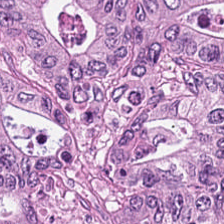20× equivalent magnification · brightfield · hematoxylin-and-eosin stained section — Classification — adenocarcinoma.
